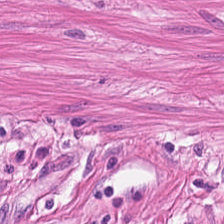H&E · 224×224 pixel tile. Classification: muscularis.
